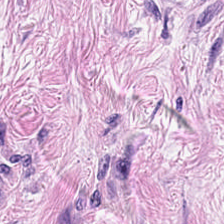Hematoxylin and eosin — Predominantly desmoplastic stroma.
